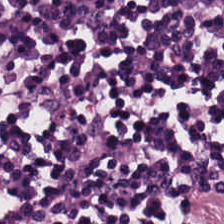Hematoxylin-and-eosin stained section. Q: What tissue is shown?
A: This is lymphocytes.
